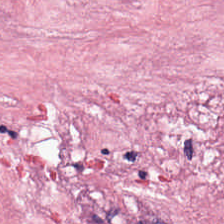Hematoxylin-and-eosin stained section.
This field is tumor stroma.
